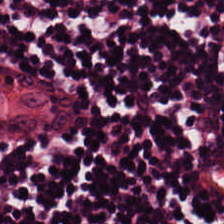H&E-stained tissue section · whole-slide-image patch · formalin-fixed paraffin-embedded section.
This field is lymphocytes.
